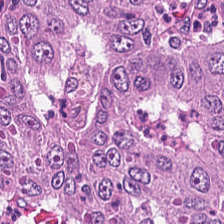H&E stain — Predominant tissue: malignant epithelium.
